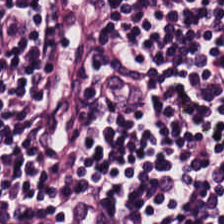H&E-stained tissue section — The classification is lymphocytic infiltrate.
